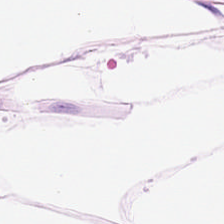Hematoxylin and eosin.
Tissue class = fat tissue.
